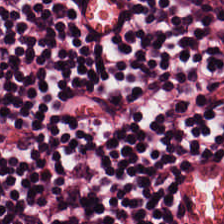Q: What is the predominant tissue type?
A: This is lymphocytic infiltrate.
